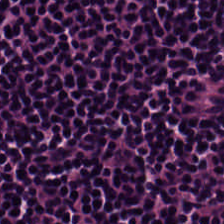Whole-slide-image patch · hematoxylin and eosin — The predominant tissue is lymphocyte aggregate.
